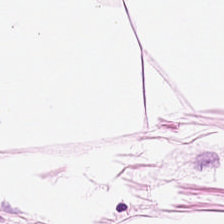H&E.
Tissue type: adipocytes.
